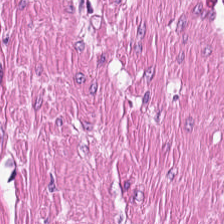Hematoxylin-and-eosin stained section — {"tissue_type": "smooth muscle"}
